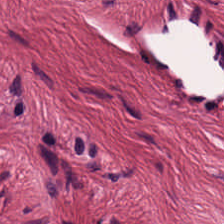Stain: H&E stain.
Tissue class: desmoplastic stroma.
